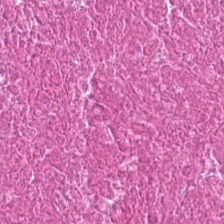Hematoxylin and eosin. Showing cellular debris.
